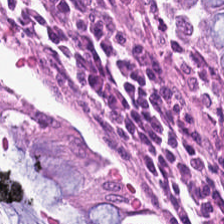H&E stain — Impression — non-neoplastic colon mucosa.
